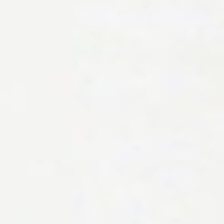H&E-stained tissue section; 0.5 µm per pixel; 224×224 pixel tile. This patch shows background (no tissue).
